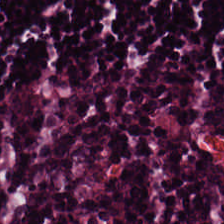H&E.
Showing lymphocytes.
